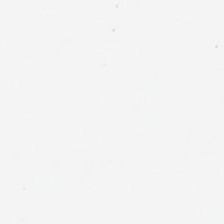Brightfield microscopy. 224×224 pixel tile. H&E-stained tissue section — Q: What does this patch show?
A: This is background (no tissue).
